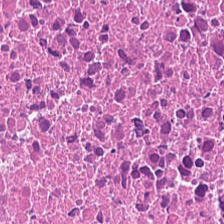Stain: hematoxylin-and-eosin stained section.
Classification: necrotic debris.
